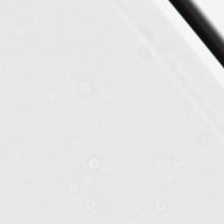Hematoxylin-and-eosin stained section. Classification — empty background.
